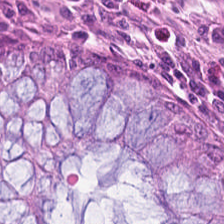Q: What does this patch show?
A: Normal colonic mucosa.
